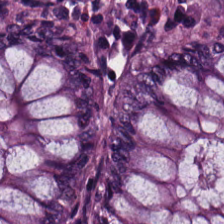WSI patch; hematoxylin-and-eosin stained section.
{"tissue_type": "normal colon mucosa"}
